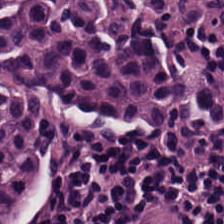Stain: H&E.
Tissue class: lymphocyte aggregate.
